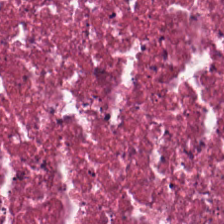Stain: hematoxylin and eosin.
Predominant tissue: necrotic debris.
